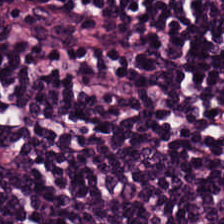0.5 µm/px. H&E stain. The tissue is lymphoid infiltrate.
